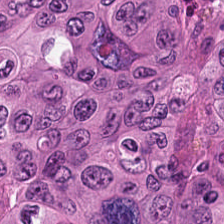Hematoxylin-and-eosin stained section.
Impression — adenocarcinoma.
